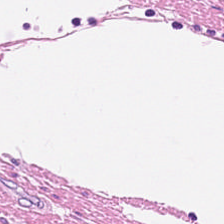Q: What tissue type is shown here?
A: The field shows smooth muscle.
